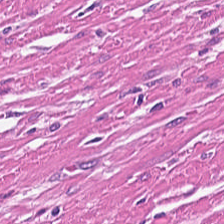Stain: H&E stain.
Acquisition: brightfield.
Preparation: FFPE.
Tissue type: muscularis.
